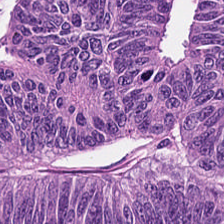Hematoxylin-and-eosin stained section — The predominant tissue is adenocarcinoma.
